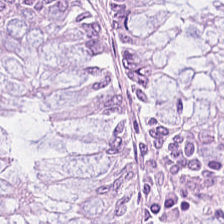Stain: H&E stain.
Tissue: normal colon mucosa.
